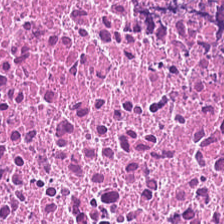Hematoxylin and eosin.
Impression — cellular debris.
